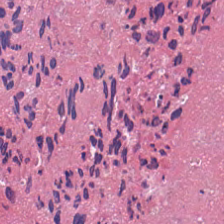Hematoxylin and eosin — Tissue: necrotic debris.
